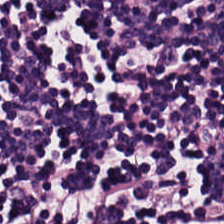H&E stain.
Tissue = lymphoid infiltrate.
